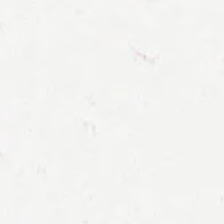Hematoxylin and eosin. The classification is background.
